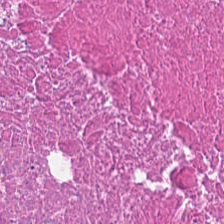Hematoxylin and eosin · brightfield microscopy · 20× equivalent magnification — The tissue here is necrotic debris.
